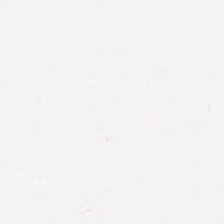Stain: H&E.
Classification: background (no tissue).
